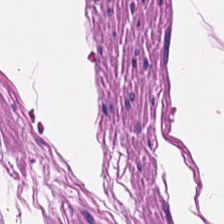Hematoxylin-and-eosin section: smooth-muscle tissue.
